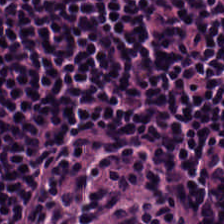Stain: H&E.
Tissue class: lymphocyte aggregate.
